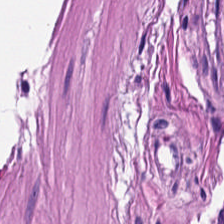H&E stain. {"tissue_type": "muscularis"}
